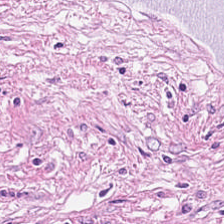H&E. 20× equivalent magnification — {"tissue_type": "tumor-associated stroma"}
